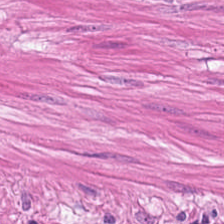Hematoxylin and eosin.
Tissue type — muscularis.
